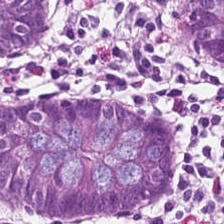H&E-stained tissue section. The tissue class is benign colonic mucosa.
